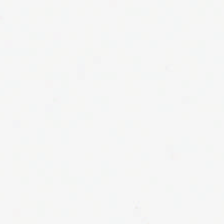FFPE tissue section · H&E stain · brightfield microscopy — No tissue present; background only.
